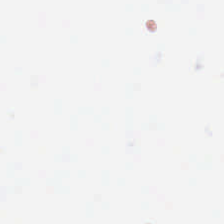H&E-stained tissue section.
Finding — background.
